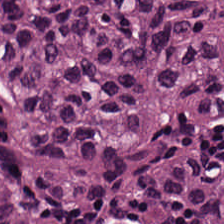H&E-stained tissue section. Predominant tissue = colorectal adenocarcinoma epithelium.
